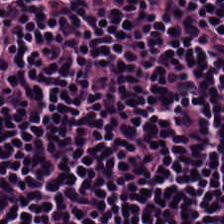Hematoxylin and eosin · 0.5 microns per pixel · whole-slide-image patch.
Classification: lymphocytic infiltrate.
